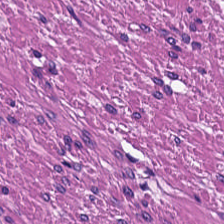Stain: H&E-stained tissue section.
Tile size: 224×224 px tile.
Classification: smooth-muscle tissue.
